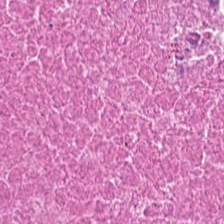The predominant tissue is debris.
